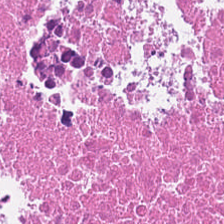Hematoxylin-and-eosin stained section — {"tissue_type": "debris"}
